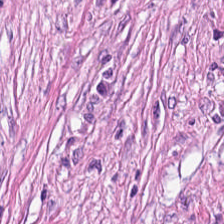FFPE · H&E-stained tissue section. Predominantly cancer-associated stroma.
